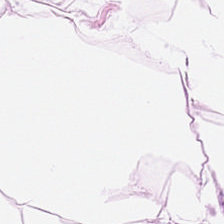H&E-stained tissue section — The predominant tissue is adipocytes.
